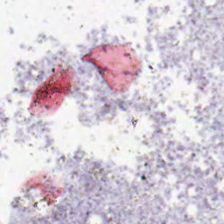Stain: hematoxylin-and-eosin stained section.
Tile size: 224×224 px tile.
Content: background (no tissue).
